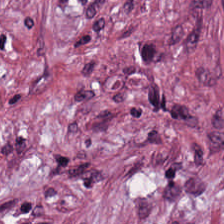H&E stain.
The tissue here is cancer-associated stroma.
